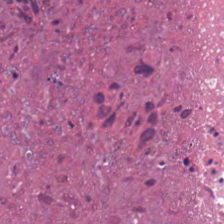H&E stain — Impression → necrotic debris.
